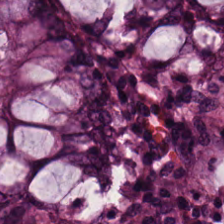Hematoxylin and eosin. FFPE. Impression — normal colonic mucosa.
